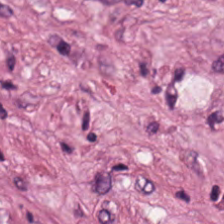Stain: H&E-stained tissue section.
Preparation: FFPE tissue section.
Acquisition: brightfield.
Tissue class: tumor stroma.
